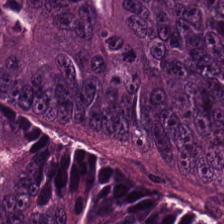Hematoxylin-and-eosin stained section; FFPE; 0.5 µm/px. This field is tumor epithelium.
